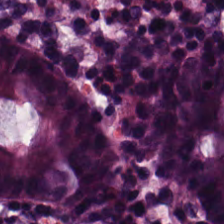Hematoxylin and eosin. Finding — normal colonic mucosa.
